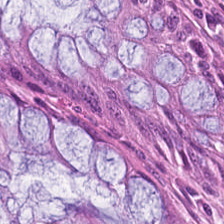Hematoxylin and eosin · FFPE tissue section. Q: What is shown here?
A: Normal colonic mucosa.
